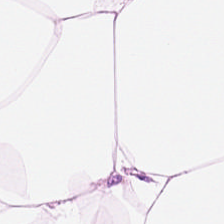H&E-stained tissue section showing adipocytes.
